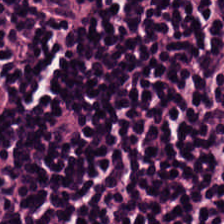The tissue here is lymphocytic infiltrate.
